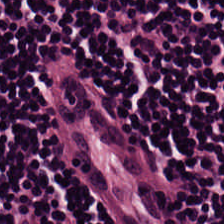224×224 px tile; H&E stain. Lymphocyte aggregate.
